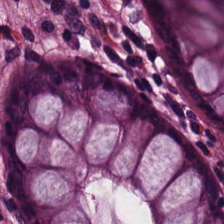Brightfield · 224×224 pixel tile · H&E — Predominantly normal colonic mucosa.
